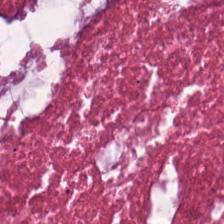Hematoxylin-and-eosin stained section; 224×224 px tile — Predominantly debris.
